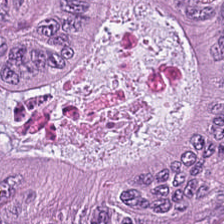H&E stain — Impression → malignant epithelium.
